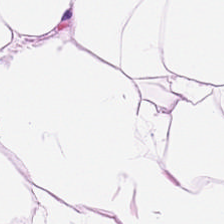Hematoxylin and eosin — The tissue here is adipose.
